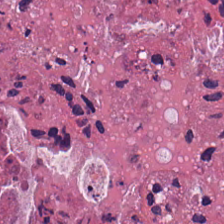Hematoxylin-and-eosin stained section. Predominant tissue: necrotic debris.
